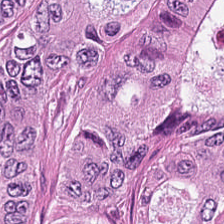Hematoxylin and eosin · whole-slide-image patch — Q: What does this patch show?
A: This is adenocarcinoma.
